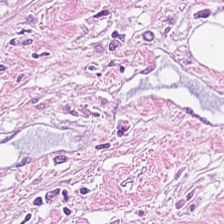H&E stain.
The tissue here is desmoplastic stroma.
